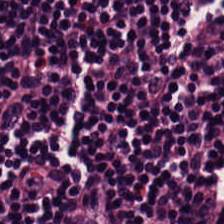H&E stain. The predominant tissue is lymphocytic infiltrate.
